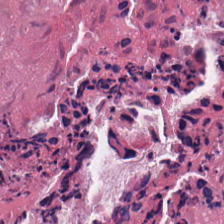Tissue class = cellular debris.
